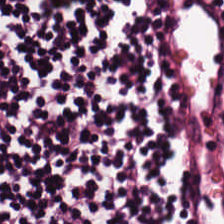Hematoxylin-and-eosin stained section; 20× equivalent magnification.
Showing lymphocytes.
